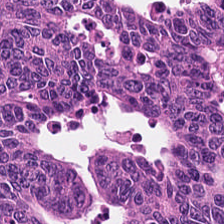H&E stain — The predominant tissue is colorectal adenocarcinoma epithelium.
